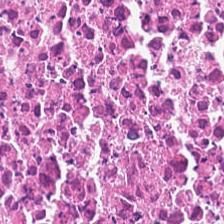H&E-stained tissue section — This patch shows necrotic debris.
